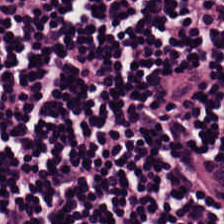Brightfield microscopy · H&E stain · 0.5 µm/px.
Histology — lymphoid infiltrate.
